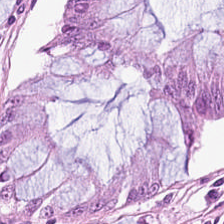H&E; 224×224 pixel tile. This field is benign colonic mucosa.
